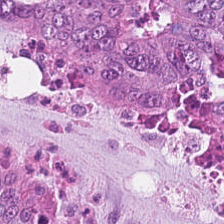Colorectal adenocarcinoma epithelium.
